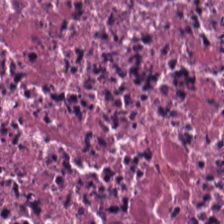H&E stain · 0.5 µm/px. Q: What tissue type is shown here?
A: This is debris.
